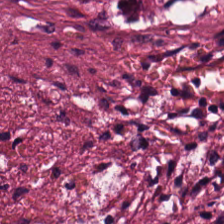H&E-stained tissue section — The tissue here is tumor stroma.
